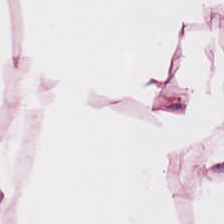0.5 µm per pixel · hematoxylin and eosin — Q: What is shown in this field?
A: The field shows adipose.
